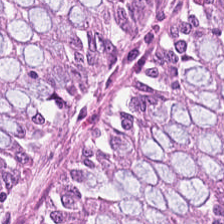224×224 px tile. Hematoxylin-and-eosin stained section.
Predominantly non-neoplastic colon mucosa.
